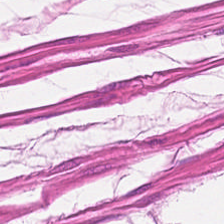Brightfield · H&E stain — This field is smooth-muscle tissue.
